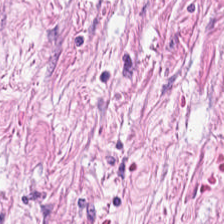Impression → tumor-associated stroma.
